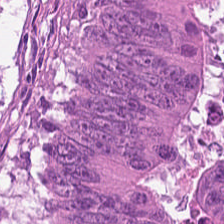Stain: H&E.
Tile size: 224×224 pixel tile.
Classification: colorectal adenocarcinoma epithelium.
